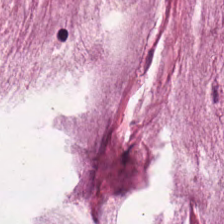H&E.
Showing mucus.
